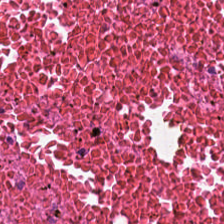Q: Identify the tissue.
A: The field shows debris.
